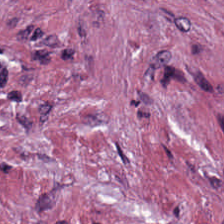Impression — cancer-associated stroma.
